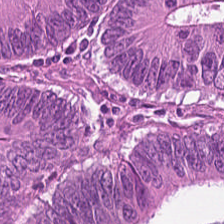Hematoxylin and eosin. 224×224 px patch. Malignant epithelium.
